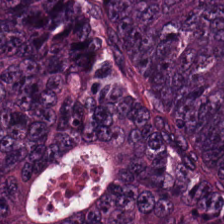Brightfield. H&E-stained tissue section — Q: What is shown here?
A: The field shows colorectal adenocarcinoma epithelium.
